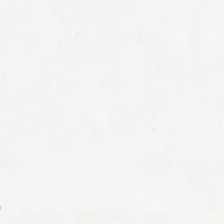H&E-stained tissue section.
{"content": "empty background"}
